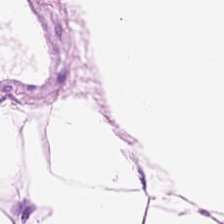Stain: H&E.
Acquisition: whole-slide-image patch.
Tile size: 224×224 px patch.
Tissue: fat tissue.
